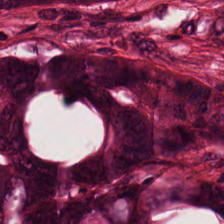Hematoxylin-and-eosin stained section · 0.5 µm/px — The tissue type is tumor epithelium.
